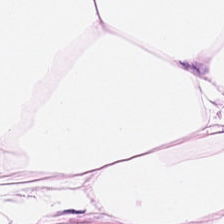Stain: H&E stain.
Tissue class: adipose tissue.
